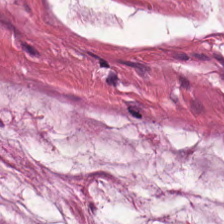224×224 px tile. Hematoxylin and eosin. 20× equivalent magnification.
Q: What tissue is shown?
A: The field shows mucus.
